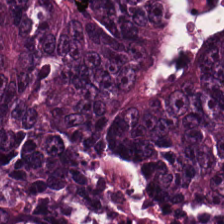Formalin-fixed paraffin-embedded section. H&E. Q: What tissue type is shown here?
A: Malignant epithelium.
